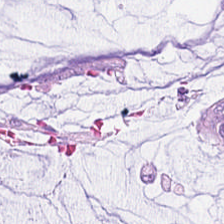Formalin-fixed paraffin-embedded section · hematoxylin and eosin — Predominantly extracellular mucin.
